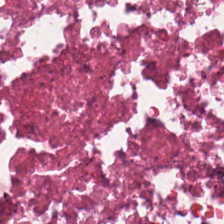H&E stain · FFPE tissue section · 224×224 pixel tile.
Q: What is shown here?
A: The field shows debris.
